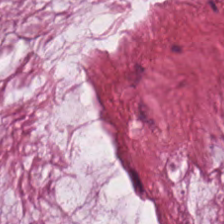H&E. WSI patch. 224×224 px patch.
Q: What is shown here?
A: It is mucus.
